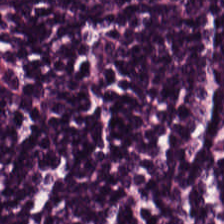224×224 px tile; H&E-stained tissue section.
The predominant tissue is lymphoid infiltrate.
